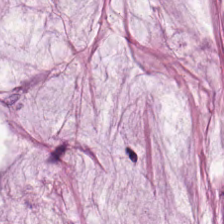H&E-stained tissue section — Predominantly mucin.
